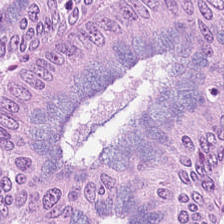0.5 microns per pixel; H&E. Predominant tissue: malignant epithelium.
